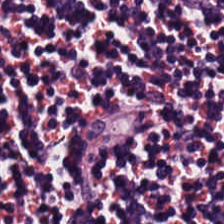Stain: H&E-stained tissue section.
Tissue class: lymphocytes.
